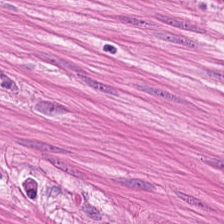Histology → muscularis.
